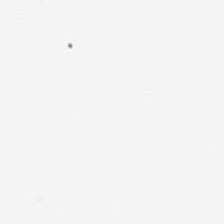Field content = no tissue.
